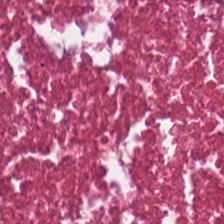Stain: hematoxylin and eosin.
Tissue class: cellular debris.
